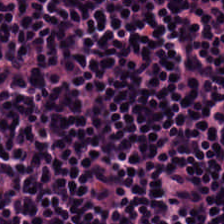H&E stain — Q: What is shown in this field?
A: It is lymphocytic infiltrate.
